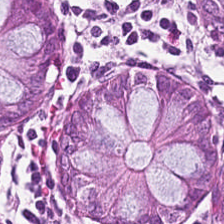H&E. {"tissue_type": "non-neoplastic colon mucosa"}
